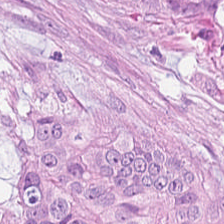H&E-stained section; the field shows colorectal adenocarcinoma.
